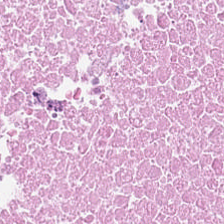H&E. WSI patch.
Q: What does this patch show?
A: This is debris.
